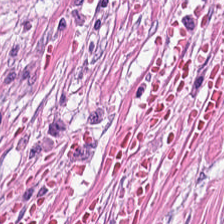Q: What is shown here?
A: Cancer-associated stroma.
